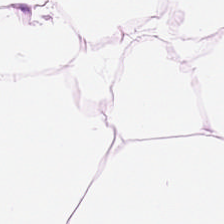Hematoxylin-and-eosin stained section; formalin-fixed paraffin-embedded section; 0.5 µm/px — Impression — adipose.
